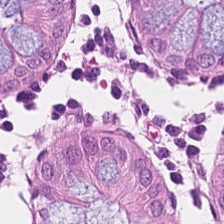Q: What tissue type is shown here?
A: It is non-neoplastic colon mucosa.
